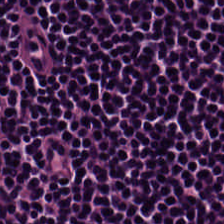0.5 µm/px · hematoxylin-and-eosin stained section · brightfield microscopy. The predominant tissue is lymphocytes.
